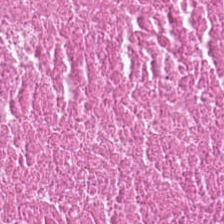Hematoxylin and eosin. Debris.
